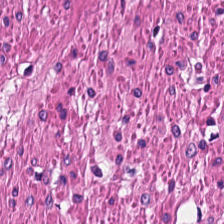Stain: H&E.
Acquisition: brightfield microscopy.
Tissue type: smooth-muscle tissue.
